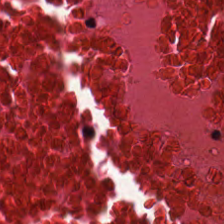H&E-stained tissue section showing cellular debris.
